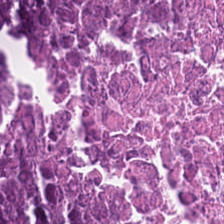Stain: hematoxylin-and-eosin stained section.
Resolution: 0.5 microns per pixel.
Acquisition: WSI patch.
Predominant tissue: cellular debris.
